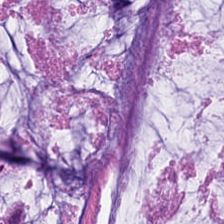Stain: H&E stain.
Predominant tissue: extracellular mucin.
